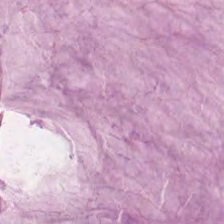Whole-slide-image patch · hematoxylin-and-eosin stained section.
The tissue here is mucin.
